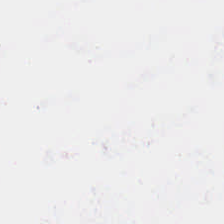Stain: H&E.
Acquisition: whole-slide-image patch.
Field content: no tissue.
